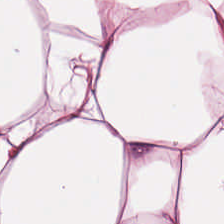Classification — adipocytes.
